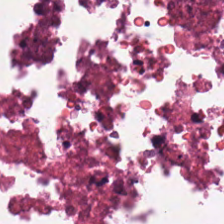H&E stain — Showing cellular debris.
